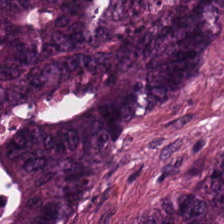Stain: H&E stain.
Predominant tissue: malignant epithelium.
